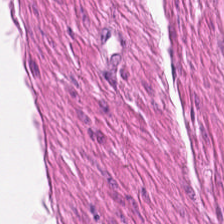H&E-stained tissue section — Smooth-muscle tissue.
